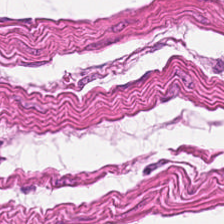Hematoxylin and eosin. Predominantly smooth muscle.
